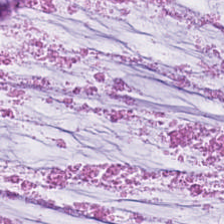20× equivalent magnification; H&E stain — Tissue: mucus.
